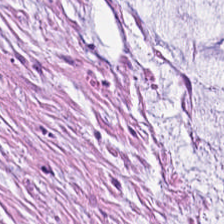H&E-stained tissue section showing mucus.
